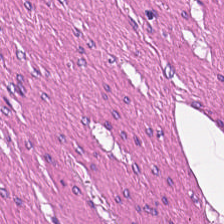Stain: hematoxylin-and-eosin stained section.
Acquisition: WSI patch.
Tissue: muscularis.
